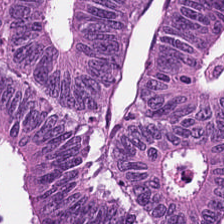20× equivalent magnification · hematoxylin and eosin. Q: What is shown in this field?
A: It is adenocarcinoma.
